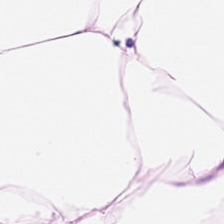Hematoxylin-and-eosin stained section. Showing adipose.
